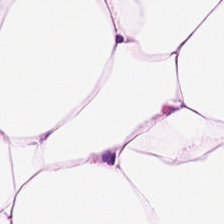Q: Identify the tissue.
A: Adipose.
